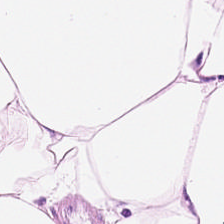H&E-stained tissue section. Tissue class = adipose tissue.
